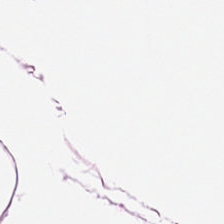H&E stain; 20× equivalent magnification; 224×224 px tile.
Q: What is the predominant tissue type?
A: Adipose.
